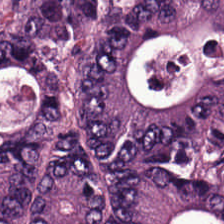Q: What is the predominant tissue type?
A: This is colorectal adenocarcinoma.
